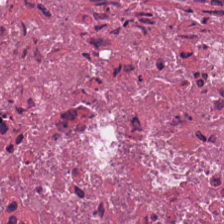H&E stain.
Predominantly debris.
